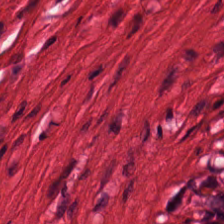Stain: H&E-stained tissue section.
Acquisition: brightfield microscopy.
Resolution: 0.5 µm per pixel.
Predominant tissue: smooth muscle.
